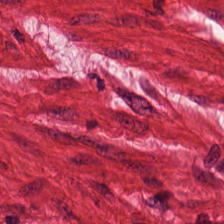H&E-stained tissue section; formalin-fixed paraffin-embedded section — Tissue class — smooth muscle.
